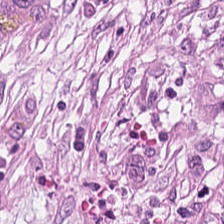0.5 microns per pixel. Hematoxylin and eosin.
Tumor-associated stroma.
